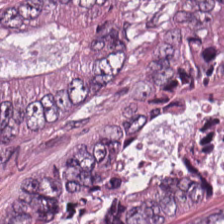H&E-stained tissue section.
This field is tumor epithelium.
